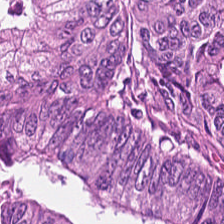Hematoxylin-and-eosin stained section — Histology → colorectal adenocarcinoma epithelium.
